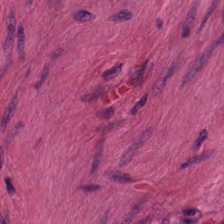0.5 µm per pixel. Brightfield microscopy. H&E stain.
Tissue type = smooth-muscle tissue.
